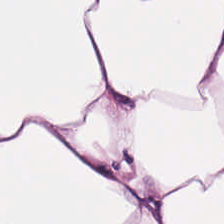Tissue class — adipose tissue.
